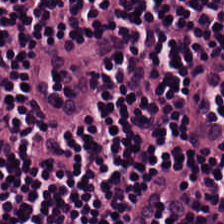Brightfield; H&E.
{"tissue_type": "lymphocytic infiltrate"}
